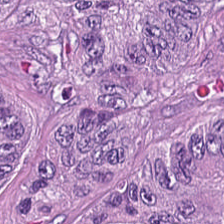Hematoxylin-and-eosin stained section.
Predominant tissue: malignant epithelium.
